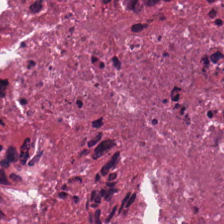FFPE · hematoxylin and eosin · 224×224 px patch — The tissue here is debris.
